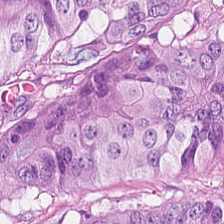Stain: hematoxylin and eosin.
Tissue class: adenocarcinoma.
